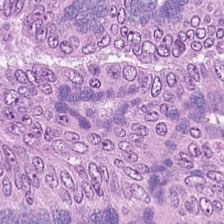Hematoxylin and eosin.
This field is colorectal adenocarcinoma.
